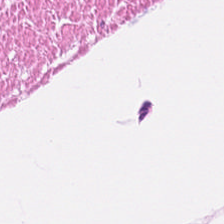Hematoxylin and eosin.
Tissue: muscularis.
